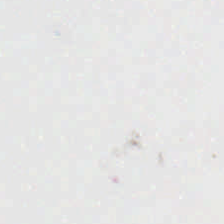Hematoxylin-and-eosin stained section — No tissue present; background only.
